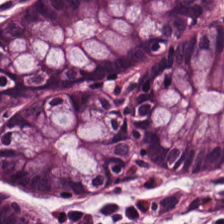H&E stain.
Q: What is shown in this field?
A: The field shows normal colonic mucosa.
